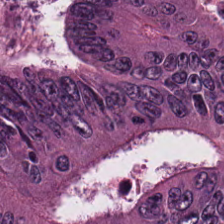H&E stain.
Q: What is the predominant tissue type?
A: The field shows adenocarcinoma.
